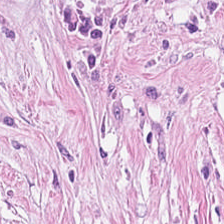0.5 µm per pixel. H&E-stained tissue section.
The predominant tissue is cancer-associated stroma.
